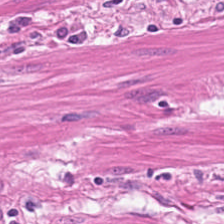H&E-stained section; the field shows muscularis.
